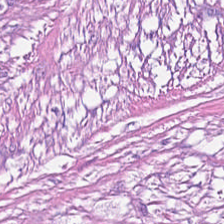H&E. Predominantly desmoplastic stroma.
